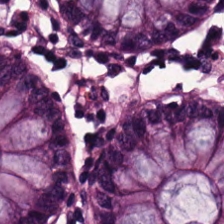Q: What tissue type is shown here?
A: This is normal colonic mucosa.
